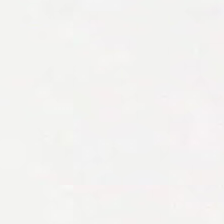Q: What is shown here?
A: It is no tissue.
